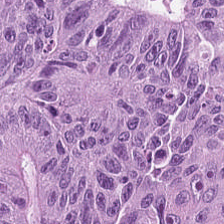H&E-stained tissue section showing colorectal adenocarcinoma epithelium.
